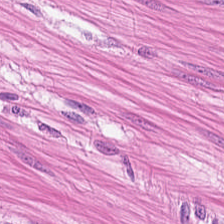H&E-stained tissue section — {"tissue_type": "smooth-muscle tissue"}
